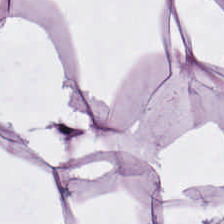Classification = adipose tissue.
